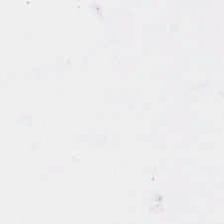H&E stain; whole-slide-image patch.
Content — empty background.
